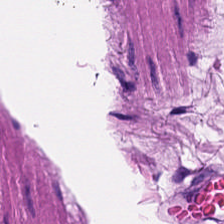0.5 microns per pixel; hematoxylin and eosin. Tissue: muscularis.
